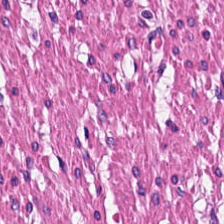FFPE tissue section. Hematoxylin and eosin — Showing smooth muscle.
